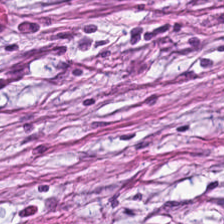The tissue class is desmoplastic stroma.
